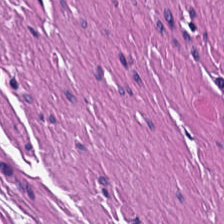0.5 µm per pixel. Hematoxylin-and-eosin stained section. Brightfield. The tissue class is muscularis.
